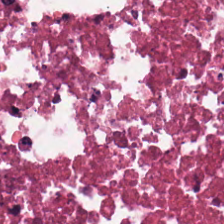0.5 µm per pixel · H&E-stained tissue section. This field is debris.
